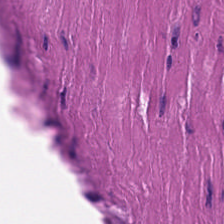Hematoxylin-and-eosin stained section.
{"tissue_type": "muscularis"}
